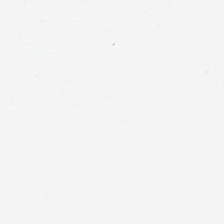Stain: H&E-stained tissue section.
Tile size: 224×224 px patch.
Acquisition: brightfield microscopy.
Classification: no tissue.
